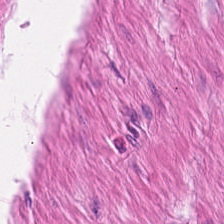Stain: H&E-stained tissue section.
Predominant tissue: muscularis.
